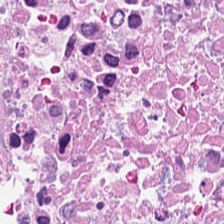Hematoxylin-and-eosin stained section. Q: What is the predominant tissue type?
A: Necrotic debris.
